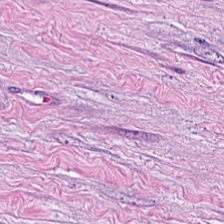Stain: H&E-stained tissue section.
Tissue type: tumor stroma.
